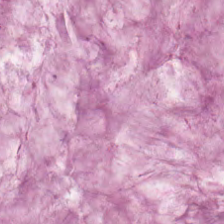H&E. 224×224 px patch. The tissue type is mucus.
